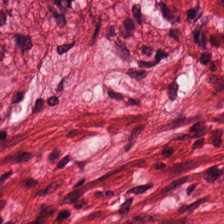224×224 px patch · H&E-stained tissue section — Finding — smooth-muscle tissue.
